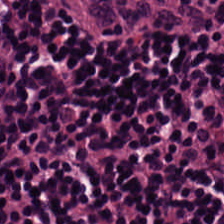H&E. Showing lymphocytic infiltrate.
